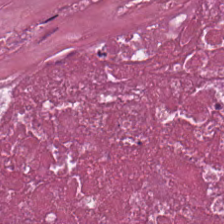20× equivalent magnification; hematoxylin and eosin; formalin-fixed paraffin-embedded section.
Q: Identify the tissue.
A: The field shows cellular debris.
